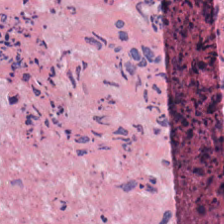224×224 px tile; hematoxylin-and-eosin stained section.
The tissue is debris.
